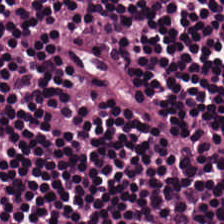Hematoxylin and eosin. 224×224 pixel tile. This field is lymphoid infiltrate.
